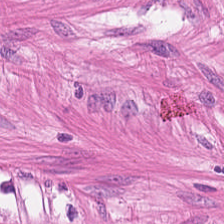Hematoxylin-and-eosin stained section. Brightfield microscopy. 20× equivalent magnification. Q: What is shown in this field?
A: This is smooth-muscle tissue.
